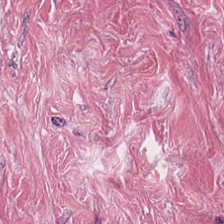Hematoxylin and eosin. Formalin-fixed paraffin-embedded section. Impression — cancer-associated stroma.
